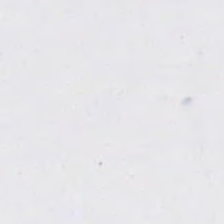FFPE tissue section · 224×224 px tile · hematoxylin-and-eosin stained section — Empty field — background.
